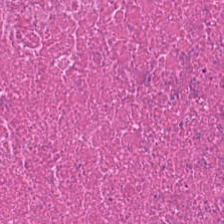H&E stain. This field is necrotic debris.
